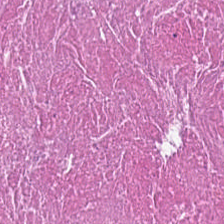H&E-stained tissue section. {"tissue_type": "debris"}
